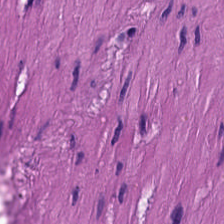Brightfield · hematoxylin and eosin · FFPE tissue section. Showing muscularis.
